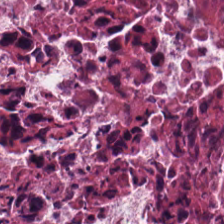H&E stain. Q: What is the predominant tissue type?
A: The field shows necrotic debris.
